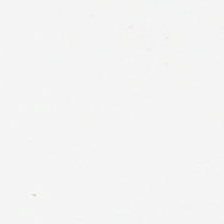Hematoxylin and eosin.
Empty field — no tissue.
